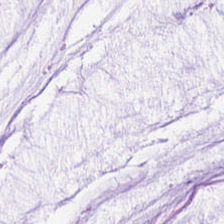The predominant tissue is mucus.
